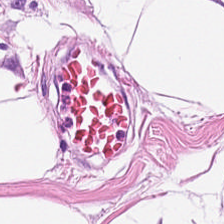H&E stain; 0.5 µm per pixel — Tissue: adipose.
